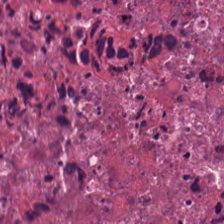Hematoxylin and eosin · whole-slide-image patch.
The tissue is cellular debris.
